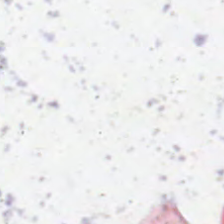Brightfield; H&E — {"content": "empty background"}
